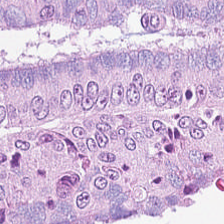Q: What type of tissue is this?
A: Tumor epithelium.
